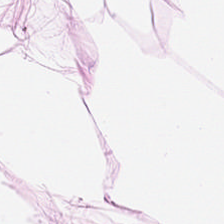H&E patch showing fat tissue.
